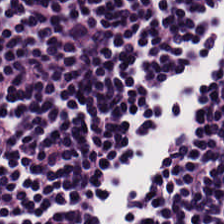H&E-stained tissue section.
Lymphocytic infiltrate.
